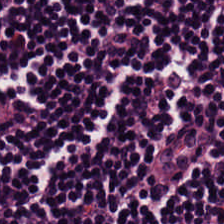Stain: hematoxylin-and-eosin stained section.
Tissue: lymphocytic infiltrate.
